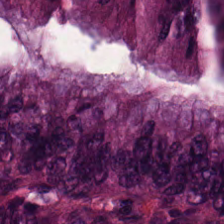{"tissue_type": "adenocarcinoma"}
